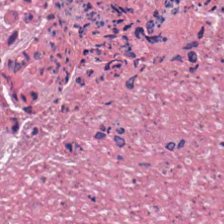Hematoxylin-and-eosin stained section. Q: What type of tissue is this?
A: This is necrotic debris.
